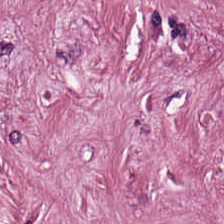Stain: hematoxylin and eosin.
Tissue: tumor-associated stroma.
